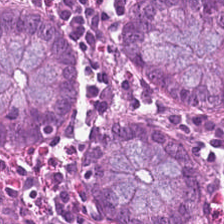Hematoxylin-and-eosin stained section. Q: What is shown in this field?
A: This is normal colonic mucosa.
